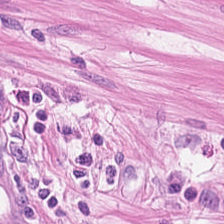Brightfield microscopy. Hematoxylin-and-eosin stained section. Finding — smooth-muscle tissue.
